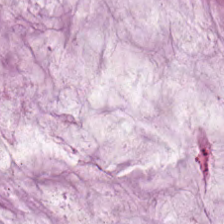0.5 microns per pixel. H&E-stained tissue section — Tissue type: mucus.
